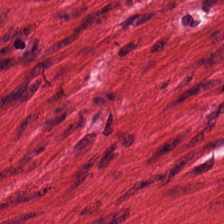H&E-stained tissue section — Q: Classify this patch.
A: The field shows smooth muscle.
